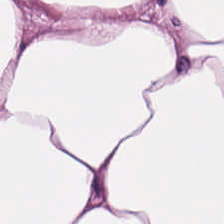H&E stain. Q: What is shown here?
A: This is adipose.
